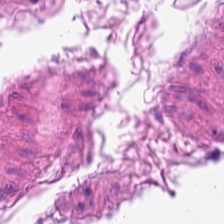Formalin-fixed paraffin-embedded section · 224×224 pixel tile · H&E-stained tissue section. Q: What is the predominant tissue type?
A: It is muscularis.
